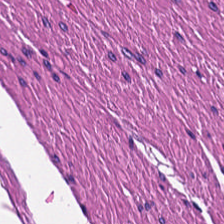The predominant tissue is muscularis.
